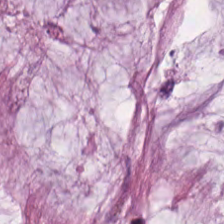The classification is mucus.
